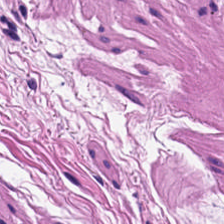Histology — muscularis.
